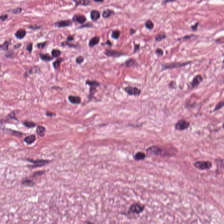Cancer-associated stroma.
